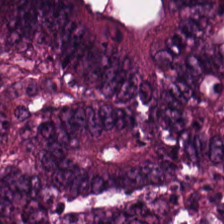FFPE. H&E-stained tissue section. 224×224 pixel tile. Malignant epithelium.
